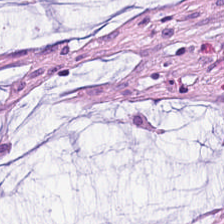Stain: H&E.
Tissue type: extracellular mucin.
